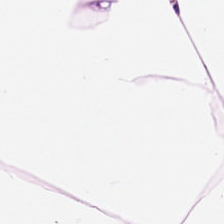FFPE tissue section; WSI patch; H&E.
Tissue class = adipocytes.
